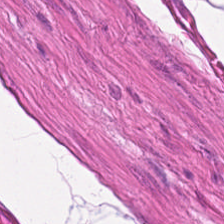Hematoxylin-and-eosin stained section.
Tissue class: muscularis.
